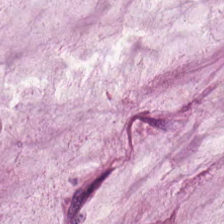Stain: H&E.
Classification: extracellular mucin.
